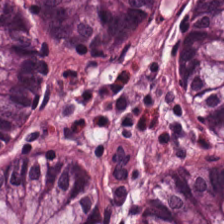Hematoxylin-and-eosin stained section — Q: What tissue is shown?
A: It is non-neoplastic colon mucosa.
